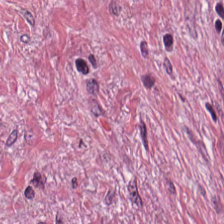H&E-stained tissue section. 224×224 pixel tile. FFPE.
Q: What type of tissue is this?
A: Tumor-associated stroma.
